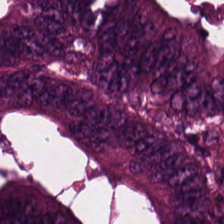The tissue type is colorectal adenocarcinoma.
